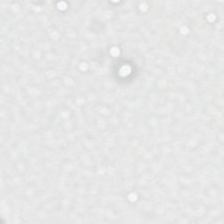H&E-stained tissue section.
Q: What does this patch show?
A: The field shows background (no tissue).
